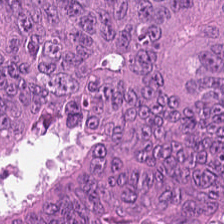0.5 µm/px · H&E — This field is colorectal adenocarcinoma.
